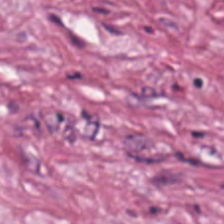0.5 µm per pixel; H&E-stained tissue section — Showing tumor-associated stroma.
